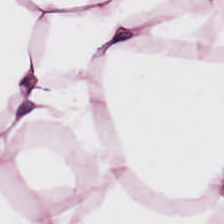Whole-slide-image patch. H&E. Tissue type — adipocytes.
